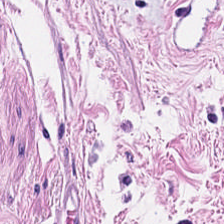Formalin-fixed paraffin-embedded section. Hematoxylin-and-eosin stained section. Brightfield. Showing muscularis.
